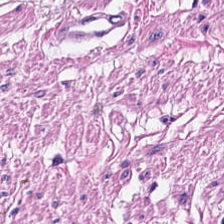224×224 px patch. H&E-stained tissue section. This field is smooth muscle.
